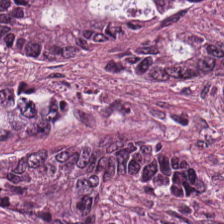Whole-slide-image patch · H&E-stained tissue section. Tissue: adenocarcinoma.
